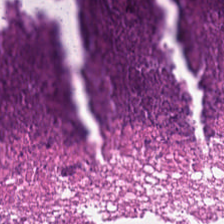Hematoxylin-and-eosin stained section — Predominantly necrotic debris.
